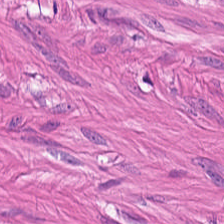Hematoxylin-and-eosin stained section.
Q: What is shown in this field?
A: It is muscularis.
